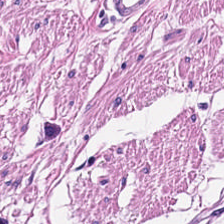224×224 px tile; H&E.
Q: What does this patch show?
A: Smooth muscle.
